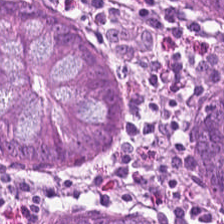Brightfield; H&E-stained tissue section. Showing benign colonic mucosa.
